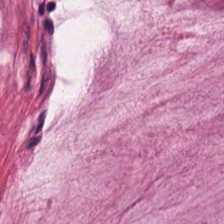H&E-stained tissue section · 20× equivalent magnification · formalin-fixed paraffin-embedded section — Tissue type: mucin.
